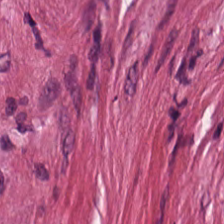This patch shows tumor-associated stroma.
